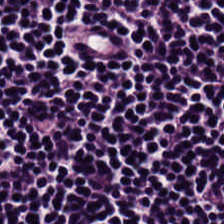Hematoxylin-and-eosin stained section.
Tissue class — lymphocytes.
